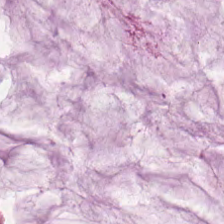Histology → mucus.
